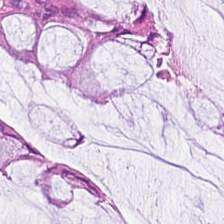224×224 px tile. H&E stain.
Finding → normal colon mucosa.
